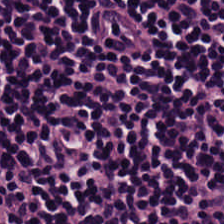Stain: H&E stain.
Tissue type: lymphocytic infiltrate.
